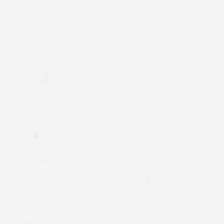The classification is empty background.
